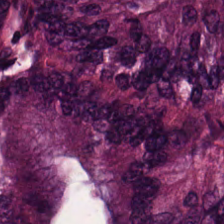Stain: hematoxylin-and-eosin stained section.
Resolution: 0.5 µm/px.
Tile size: 224×224 px patch.
Predominant tissue: tumor epithelium.
